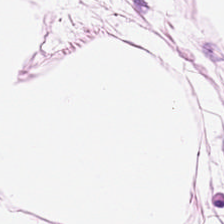H&E.
This patch shows adipose.
